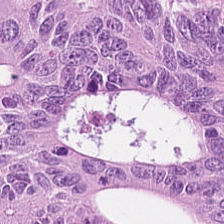H&E — The tissue here is colorectal adenocarcinoma.
